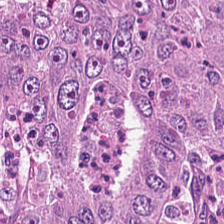H&E-stained tissue section. Tissue = adenocarcinoma.
